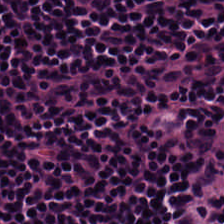Hematoxylin and eosin — Showing lymphocytic infiltrate.
